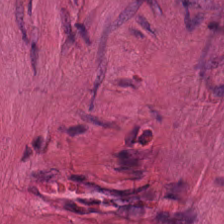Q: What tissue type is shown here?
A: Smooth-muscle tissue.
